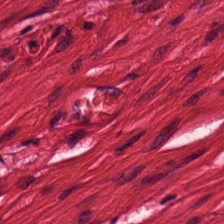224×224 px patch. H&E stain.
Showing muscularis.
